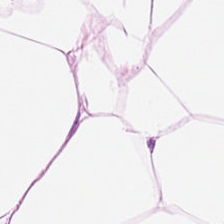Hematoxylin-and-eosin stained section.
Tissue = adipocytes.
